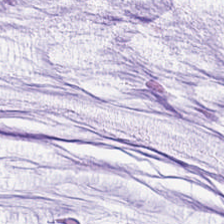Q: What is shown here?
A: The field shows mucus.
